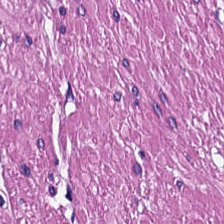H&E. Histology → smooth muscle.
